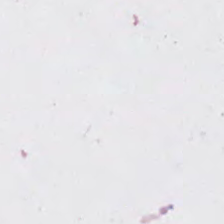Content — no tissue.
